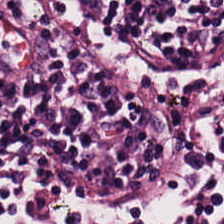H&E-stained tissue section. The tissue here is lymphocytes.
